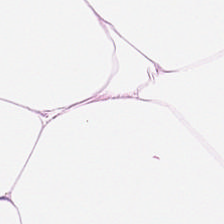H&E stain.
The predominant tissue is adipocytes.
